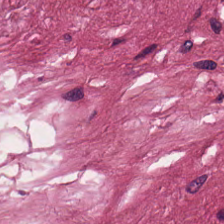This field is desmoplastic stroma.
